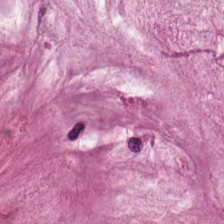FFPE tissue section. Hematoxylin-and-eosin stained section — Predominant tissue = mucin.
